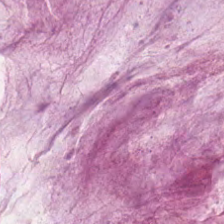H&E; FFPE tissue section — Predominantly mucus.
